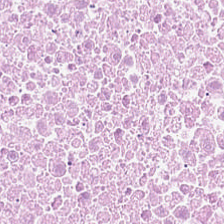Hematoxylin-and-eosin stained section. Q: What is the predominant tissue type?
A: It is cellular debris.
